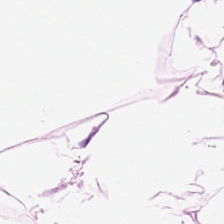Q: What is shown in this field?
A: It is adipose.
